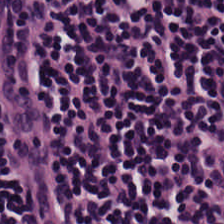224×224 pixel tile · hematoxylin and eosin.
Histology — lymphocyte aggregate.
